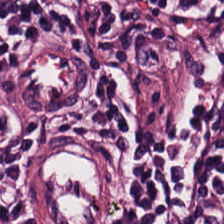Hematoxylin-and-eosin stained section — The tissue here is lymphocyte aggregate.
